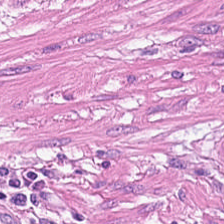Stain: H&E stain.
Tissue type: smooth muscle.
